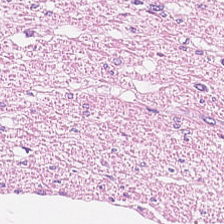H&E-stained tissue section. Smooth-muscle tissue.
